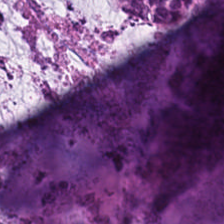Hematoxylin-and-eosin stained section; 224×224 pixel tile — The tissue is extracellular mucin.
